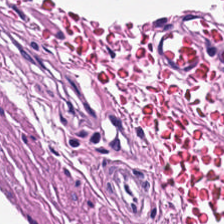0.5 microns per pixel. Hematoxylin-and-eosin stained section. FFPE — Q: What type of tissue is this?
A: It is smooth-muscle tissue.
